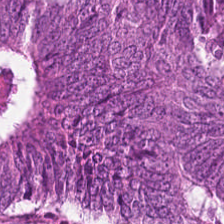H&E stain.
Classification = malignant epithelium.
